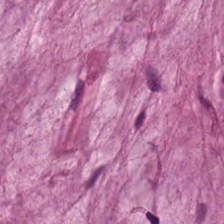H&E stain. Q: What type of tissue is this?
A: This is mucus.
